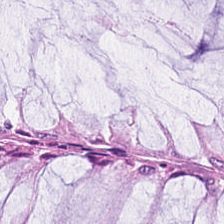Hematoxylin and eosin; brightfield microscopy; 0.5 µm per pixel — The tissue here is non-neoplastic colon mucosa.
